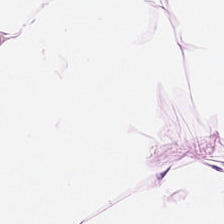H&E-stained tissue section.
Predominantly fat tissue.
